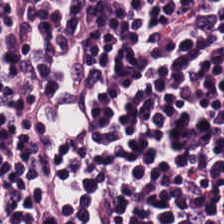H&E-stained tissue section — Predominantly lymphoid infiltrate.
